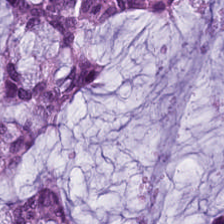H&E patch showing mucin.
